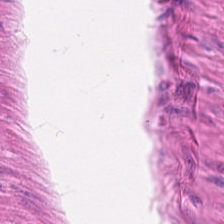H&E stain · 0.5 µm/px · brightfield microscopy. The tissue here is smooth muscle.
